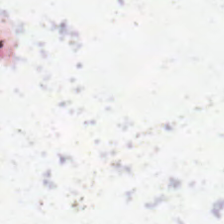20× equivalent magnification · 224×224 px patch · H&E — Empty background.
